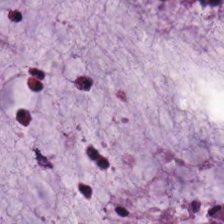0.5 µm/px · hematoxylin-and-eosin stained section. Showing extracellular mucin.
